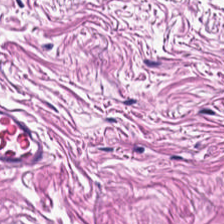0.5 µm/px · hematoxylin-and-eosin stained section. The tissue is muscularis.
